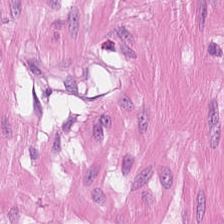Hematoxylin and eosin. The predominant tissue is smooth muscle.
